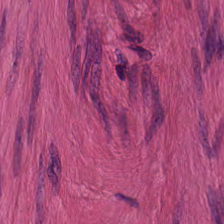This patch shows smooth-muscle tissue.
